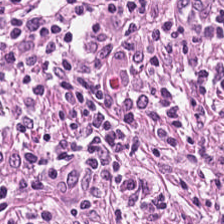Stain: H&E stain.
Predominant tissue: tumor stroma.
